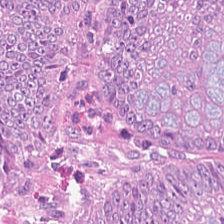H&E-stained tissue section showing colorectal adenocarcinoma epithelium.
